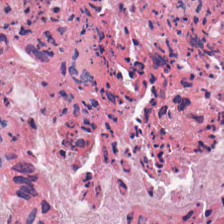Stain: hematoxylin and eosin.
Acquisition: whole-slide-image patch.
Preparation: formalin-fixed paraffin-embedded section.
Tissue class: cellular debris.
